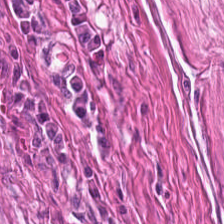Q: What tissue type is shown here?
A: This is smooth muscle.
